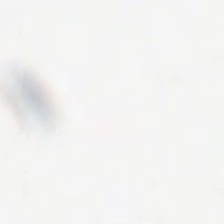Hematoxylin-and-eosin stained section. Empty field — empty background.
